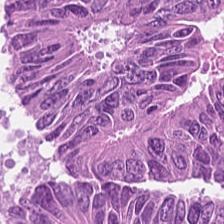The tissue class is colorectal adenocarcinoma.
